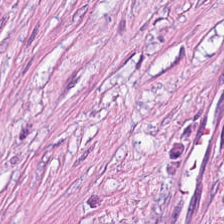H&E-stained tissue section. Showing tumor stroma.
